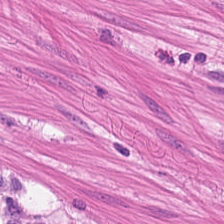Classification = muscularis.
